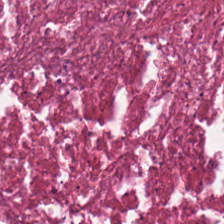Showing necrotic debris.
